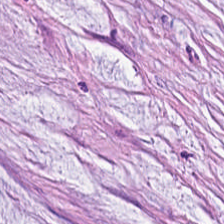H&E stain. Showing mucin.
